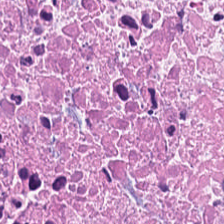Stain: H&E-stained tissue section.
Classification: necrotic debris.
